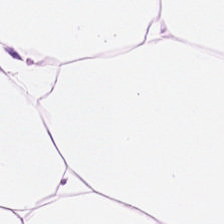H&E — This field is adipose.
